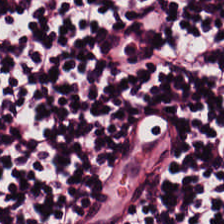H&E stain.
Q: What is shown here?
A: It is lymphocytic infiltrate.
